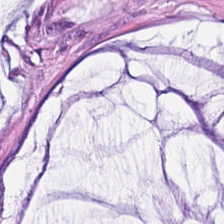Hematoxylin-and-eosin stained section; 224×224 px tile — Q: What tissue is shown?
A: Mucin.
